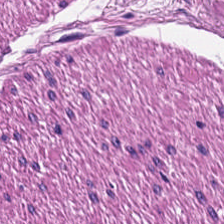Hematoxylin and eosin — Q: What type of tissue is this?
A: This is smooth muscle.
